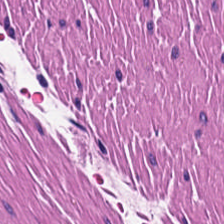Hematoxylin-and-eosin stained section.
Q: What is the predominant tissue type?
A: This is smooth muscle.
